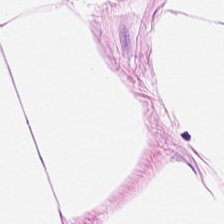Classification: adipocytes.
